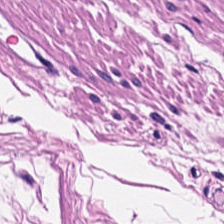Stain: H&E-stained tissue section.
Tissue class: smooth-muscle tissue.
